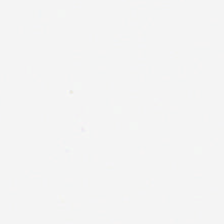H&E stain.
Q: Classify this patch.
A: The field shows empty background.
